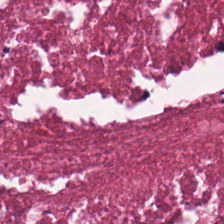Hematoxylin-and-eosin stained section — Tissue — necrotic debris.
